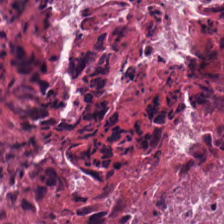Stain: H&E stain.
Tissue type: cellular debris.
